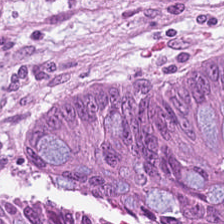Hematoxylin and eosin — Q: Identify the tissue.
A: Colorectal adenocarcinoma.
